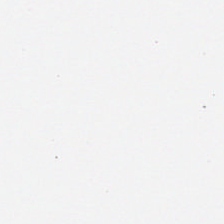Hematoxylin and eosin. Background — no tissue in this field.
